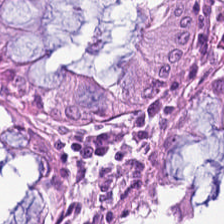Hematoxylin and eosin · 20× equivalent magnification · 224×224 px patch.
The predominant tissue is benign colonic mucosa.
